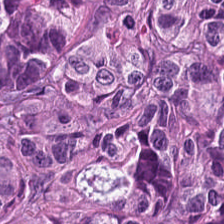H&E — The classification is colorectal adenocarcinoma epithelium.
